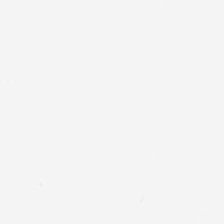Hematoxylin-and-eosin stained section. Whole-slide-image patch.
Q: What is shown in this field?
A: This is background (no tissue).
